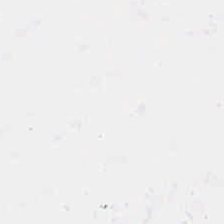Hematoxylin-and-eosin stained section.
Finding → background.
